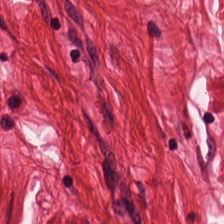H&E-stained tissue section. 0.5 µm per pixel.
Tissue class — smooth muscle.
